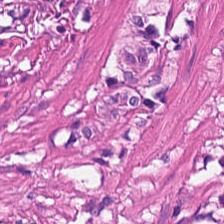H&E. Showing smooth-muscle tissue.
